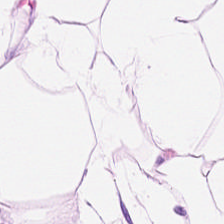Brightfield · hematoxylin and eosin. Adipose tissue.
